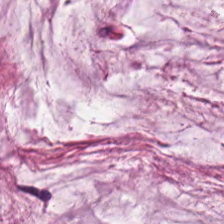Q: What tissue type is shown here?
A: Mucin.
